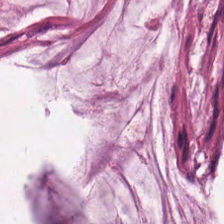The classification is extracellular mucin.
